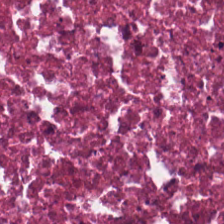Hematoxylin and eosin.
Impression → necrotic debris.
